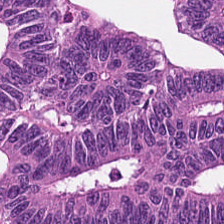Hematoxylin-and-eosin stained section. The tissue here is colorectal adenocarcinoma epithelium.
